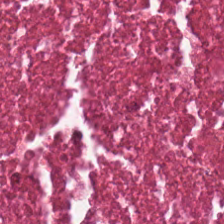This patch shows debris.
